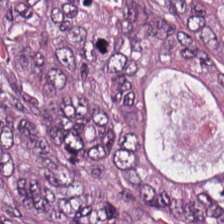224×224 px patch · H&E. Impression → colorectal adenocarcinoma.
